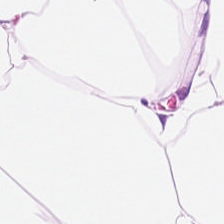H&E stain.
This patch shows adipose tissue.
